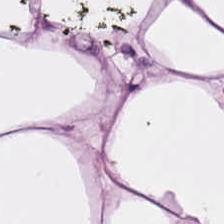Predominant tissue — adipose.
